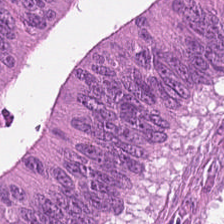H&E-stained tissue section. 0.5 µm/px. Q: What is the predominant tissue type?
A: Colorectal adenocarcinoma.
